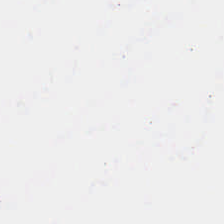Hematoxylin and eosin — Q: What is shown in this field?
A: The field shows no tissue.
